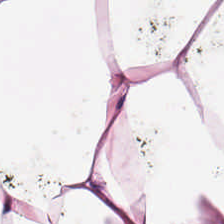The tissue here is adipose.
